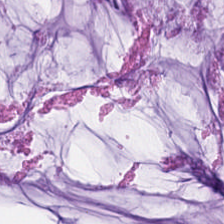224×224 px patch · H&E-stained tissue section — Histology — mucin.
